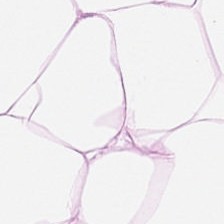20× equivalent magnification · hematoxylin-and-eosin stained section.
Tissue type: adipose tissue.
